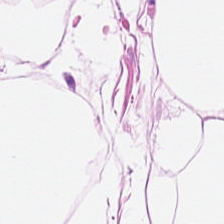H&E · 0.5 µm/px.
Tissue type = adipose.
